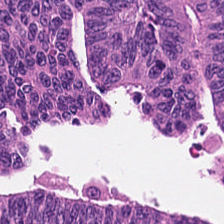This patch shows malignant epithelium.
